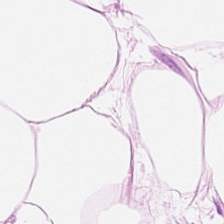Hematoxylin-and-eosin stained section. WSI patch. This patch shows adipose.
